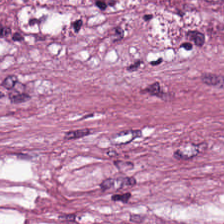Stain: hematoxylin and eosin.
Preparation: FFPE tissue section.
Tissue class: cancer-associated stroma.
